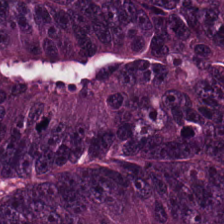Hematoxylin and eosin. 20× equivalent magnification. Brightfield microscopy.
Predominant tissue: colorectal adenocarcinoma.
